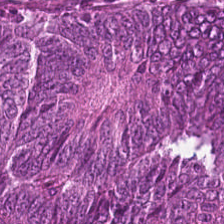Whole-slide-image patch · formalin-fixed paraffin-embedded section · H&E-stained tissue section — Showing adenocarcinoma.
